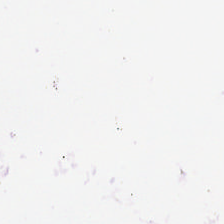Q: What is shown in this field?
A: It is no tissue.
